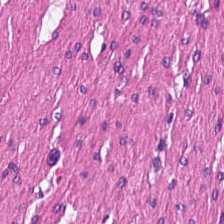H&E. FFPE — Q: Classify this patch.
A: This is smooth-muscle tissue.
